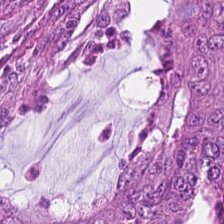H&E stain. {"tissue_type": "adenocarcinoma"}
